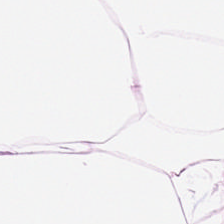Classification = fat tissue.
